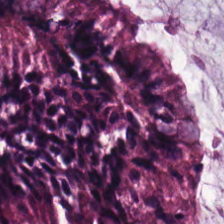Hematoxylin-and-eosin stained section; brightfield microscopy. Histology → benign colonic mucosa.
